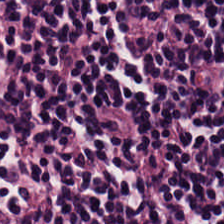FFPE tissue section; H&E stain. Predominantly lymphocytes.
